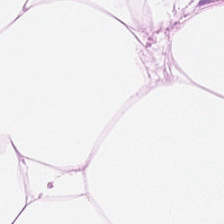H&E-stained tissue section. Brightfield microscopy. This field is adipocytes.
